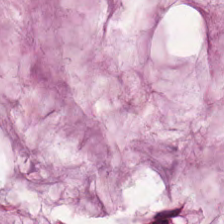Hematoxylin and eosin · WSI patch — Showing extracellular mucin.
